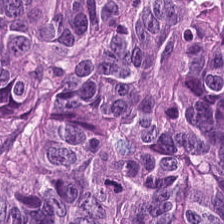Hematoxylin-and-eosin stained section.
Tissue: malignant epithelium.
